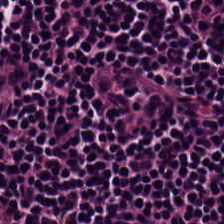Stain: H&E-stained tissue section.
Tissue type: lymphocytic infiltrate.
